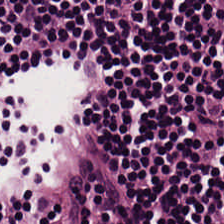H&E-stained tissue section.
Q: What tissue type is shown here?
A: It is lymphocytes.
